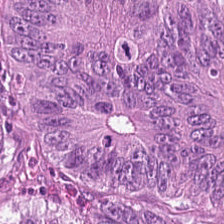H&E — The tissue here is adenocarcinoma.
